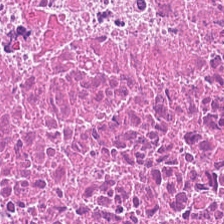Hematoxylin and eosin. Formalin-fixed paraffin-embedded section. 224×224 pixel tile — This field is debris.
